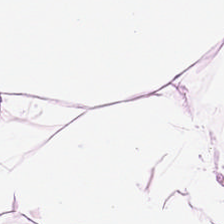Stain: H&E.
Predominant tissue: adipose tissue.
